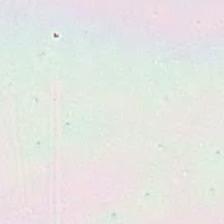Content = empty background.
